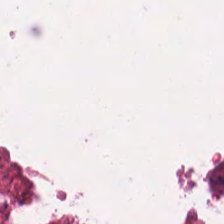Hematoxylin and eosin — This field is necrotic debris.
